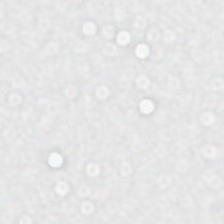FFPE. H&E-stained tissue section.
The content is no tissue.
